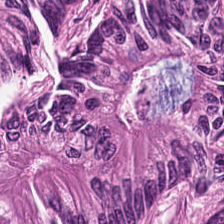H&E-stained tissue section.
The tissue class is malignant epithelium.
